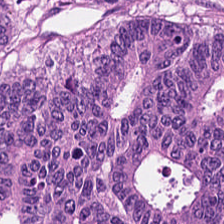FFPE · H&E.
Histology — malignant epithelium.
